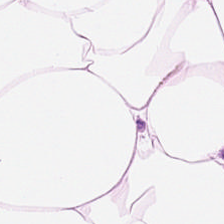Stain: hematoxylin and eosin.
Resolution: 0.5 µm/px.
Tissue type: adipose tissue.
